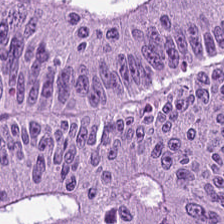H&E stain.
Tissue class = colorectal adenocarcinoma epithelium.
